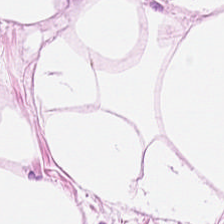Stain: H&E stain.
Tissue class: adipose tissue.
